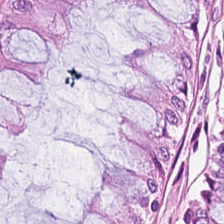H&E — Showing normal colon mucosa.
